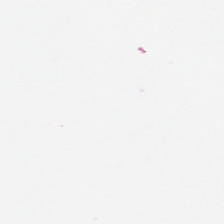Stain: hematoxylin and eosin.
Classification: empty background.
